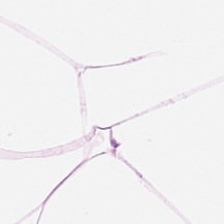Hematoxylin and eosin; whole-slide-image patch — Tissue: adipose.
